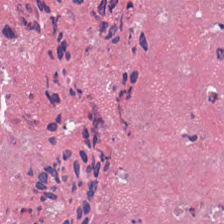Formalin-fixed paraffin-embedded section · H&E-stained tissue section · 224×224 px patch.
Predominantly cellular debris.
